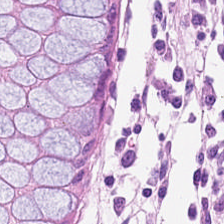Stain: H&E stain.
Resolution: 0.5 µm per pixel.
Tissue type: benign colonic mucosa.
